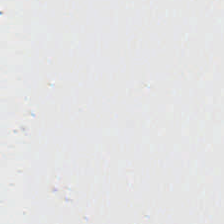Stain: hematoxylin-and-eosin stained section.
Content: empty background.
